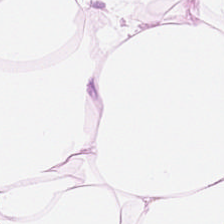0.5 µm/px; hematoxylin-and-eosin stained section; whole-slide-image patch — The tissue is adipocytes.
